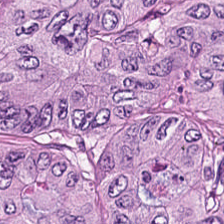The classification is colorectal adenocarcinoma epithelium.
